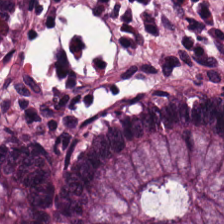H&E stain · WSI patch.
The tissue is normal colon mucosa.
